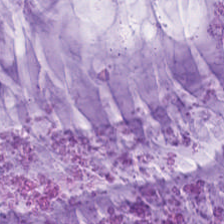H&E-stained tissue section · whole-slide-image patch.
Showing mucus.
